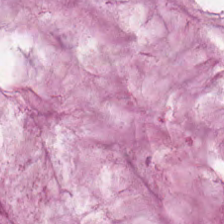Hematoxylin-and-eosin section: mucus.
